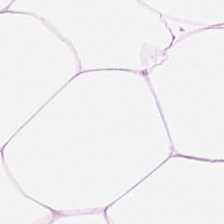Hematoxylin-and-eosin stained section — Q: What tissue type is shown here?
A: This is adipose tissue.
